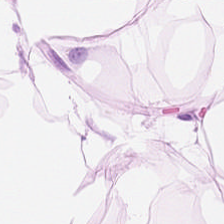Hematoxylin and eosin.
Predominant tissue — adipose.
